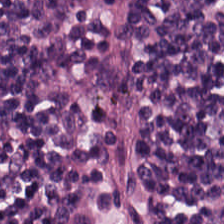Hematoxylin-and-eosin section: lymphocyte aggregate.
